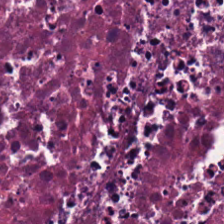H&E. The predominant tissue is cellular debris.
